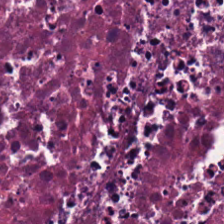H&E. The predominant tissue is cellular debris.
